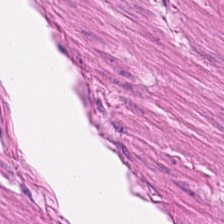Formalin-fixed paraffin-embedded section · H&E. Smooth muscle.
